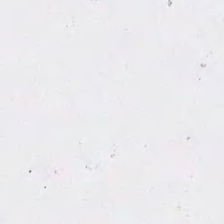H&E — Field content = background.
